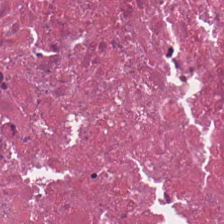224×224 px tile; H&E stain; brightfield microscopy — Predominantly debris.
